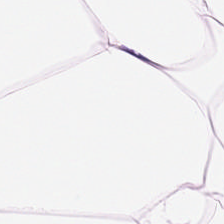H&E-stained tissue section. Formalin-fixed paraffin-embedded section. Tissue class — adipocytes.
